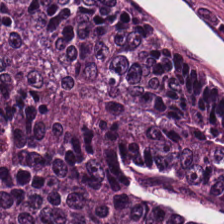Hematoxylin and eosin. 224×224 px tile. 0.5 µm per pixel — Showing colorectal adenocarcinoma.
